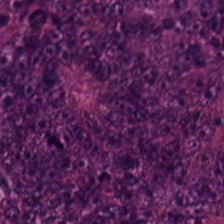H&E-stained section; the field shows tumor epithelium.
